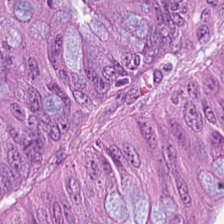Hematoxylin-and-eosin stained section.
Tissue: malignant epithelium.
